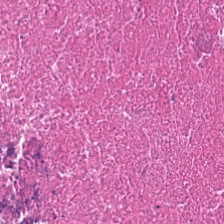H&E-stained tissue section. The tissue here is necrotic debris.
